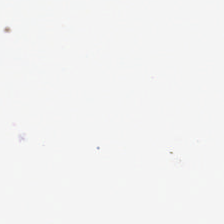H&E-stained tissue section; FFPE tissue section — The field content is empty background.
